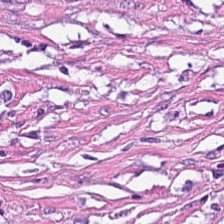Hematoxylin-and-eosin stained section.
Tissue class — tumor-associated stroma.
